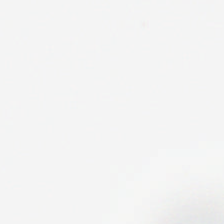Hematoxylin-and-eosin stained section. Field content — empty background.
